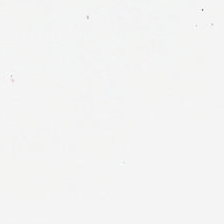FFPE; brightfield; H&E-stained tissue section — Q: What is shown here?
A: It is background (no tissue).
